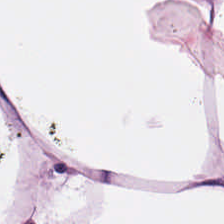H&E-stained tissue section. Impression → fat tissue.
